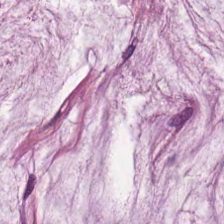H&E stain; 224×224 px tile. Predominantly mucin.
